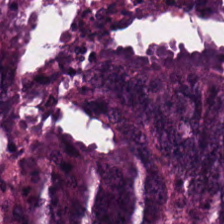Q: What is shown in this field?
A: The field shows malignant epithelium.
